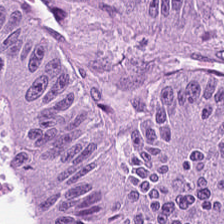H&E-stained tissue section — Classification = colorectal adenocarcinoma epithelium.
